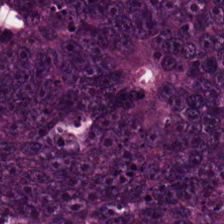H&E stain — This patch shows tumor epithelium.
